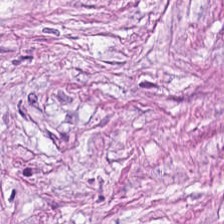Showing tumor-associated stroma.
